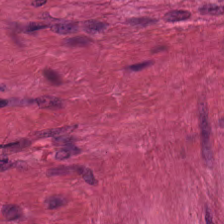FFPE · H&E stain. Predominantly muscularis.
